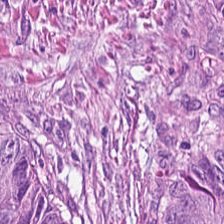H&E-stained tissue section showing adenocarcinoma.
